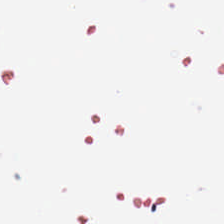H&E-stained tissue section — Empty field — background (no tissue).
